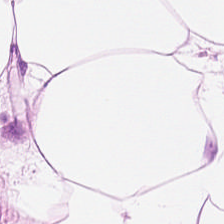H&E — fat tissue.
